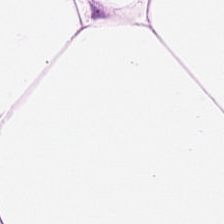H&E. This patch shows adipose.
